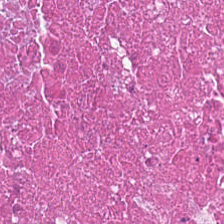Hematoxylin and eosin — Impression → necrotic debris.
